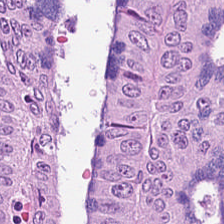H&E-stained tissue section — Showing colorectal adenocarcinoma.
